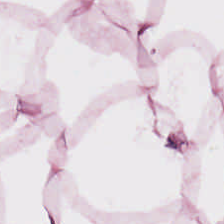Hematoxylin and eosin. FFPE tissue section. The predominant tissue is adipose.
